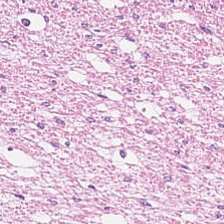Hematoxylin and eosin — {"tissue_type": "smooth-muscle tissue"}
